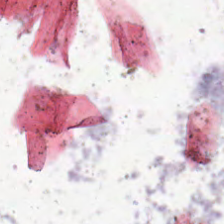Hematoxylin-and-eosin stained section. 0.5 µm/px.
This field is background (no tissue).
